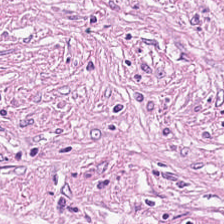Stain: H&E.
Preparation: formalin-fixed paraffin-embedded section.
Predominant tissue: tumor-associated stroma.
